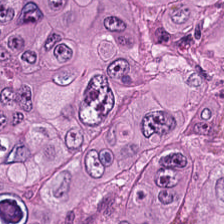Q: What tissue is shown?
A: This is adenocarcinoma.
